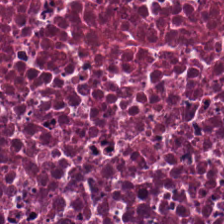Hematoxylin-and-eosin stained section — Histology — necrotic debris.
